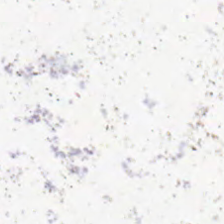WSI patch; H&E-stained tissue section; 0.5 µm/px. Background.
